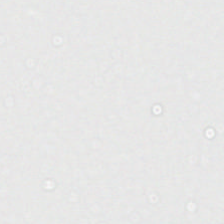Stain: H&E.
Tile size: 224×224 px tile.
Preparation: formalin-fixed paraffin-embedded section.
Classification: background.
